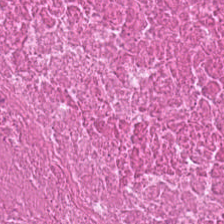H&E-stained tissue section.
This field is cellular debris.
